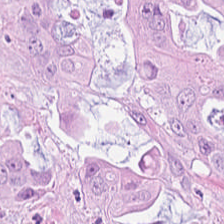H&E. Q: What type of tissue is this?
A: The field shows adenocarcinoma.
